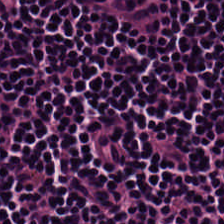Hematoxylin-and-eosin stained section. Tissue type — lymphoid infiltrate.
